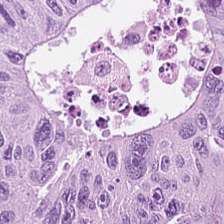H&E-stained tissue section. The predominant tissue is tumor epithelium.
